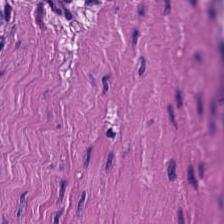Hematoxylin and eosin; FFPE tissue section.
{"tissue_type": "smooth muscle"}
